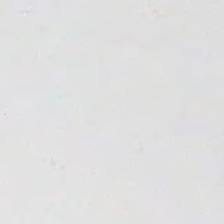H&E stain; brightfield; 0.5 µm per pixel. {"content": "no tissue"}
